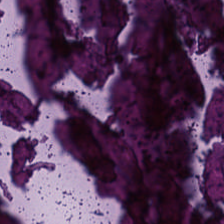224×224 pixel tile · H&E stain. The classification is necrotic debris.
